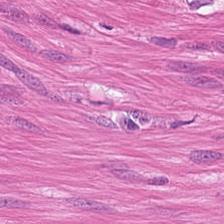H&E · FFPE.
This patch shows muscularis.
